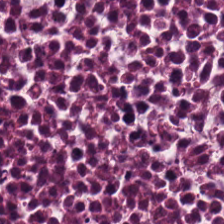H&E stain — The tissue here is necrotic debris.
